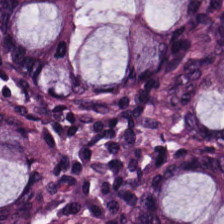H&E-stained tissue section.
Histology → benign colonic mucosa.
